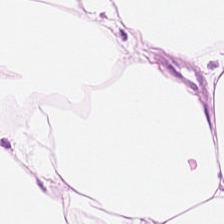Formalin-fixed paraffin-embedded section. H&E-stained tissue section. Tissue: fat tissue.
